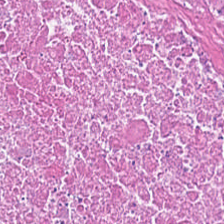Hematoxylin and eosin. The predominant tissue is necrotic debris.
